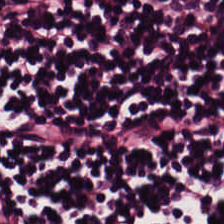Formalin-fixed paraffin-embedded section; H&E; brightfield. Lymphocytic infiltrate.
